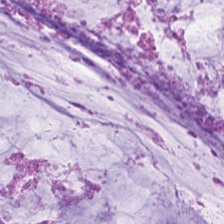224×224 px tile; hematoxylin-and-eosin stained section; FFPE tissue section. Q: What type of tissue is this?
A: Mucus.
